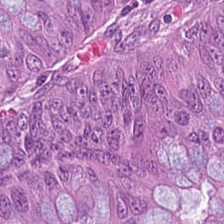Stain: H&E.
Resolution: 0.5 microns per pixel.
Tissue type: tumor epithelium.
